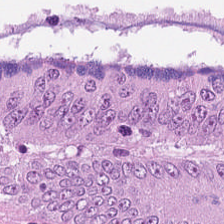Hematoxylin and eosin · 0.5 microns per pixel · 224×224 px patch — Impression — colorectal adenocarcinoma epithelium.
